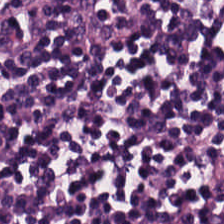Hematoxylin and eosin — {"tissue_type": "lymphoid infiltrate"}
